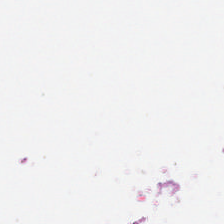Background — no tissue in this field.
